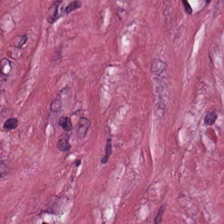20× equivalent magnification; hematoxylin-and-eosin stained section; 224×224 px tile — Q: What tissue type is shown here?
A: The field shows tumor stroma.
